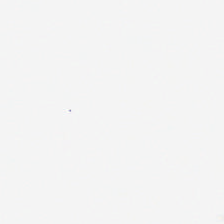Hematoxylin and eosin. No tissue.
